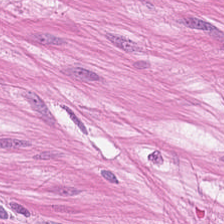FFPE. Hematoxylin and eosin. Brightfield microscopy.
{"tissue_type": "smooth muscle"}
